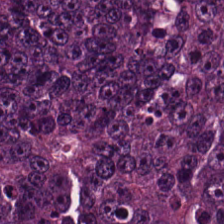Hematoxylin and eosin.
Tissue type = colorectal adenocarcinoma.
